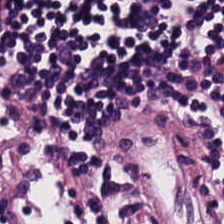0.5 µm/px. H&E stain. Tissue — lymphoid infiltrate.
